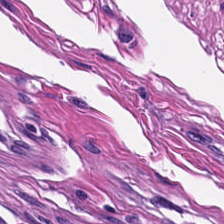FFPE tissue section; H&E-stained tissue section — The tissue class is muscularis.
